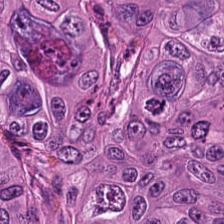H&E-stained tissue section — The predominant tissue is colorectal adenocarcinoma epithelium.
